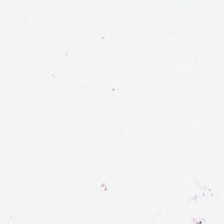H&E stain — Impression — no tissue.
